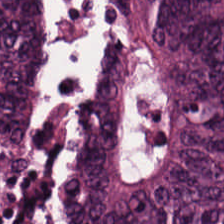Histology → colorectal adenocarcinoma.
